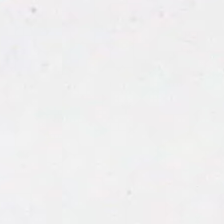Field content — background (no tissue).
